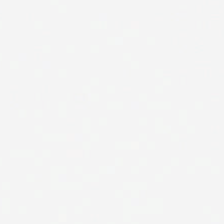Stain: hematoxylin-and-eosin stained section.
Content: background.
